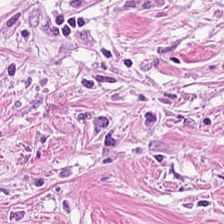Tissue type = tumor stroma.
